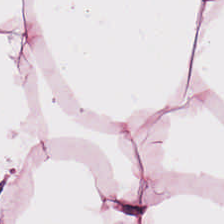H&E — This patch shows adipose tissue.
